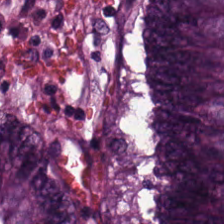H&E. Q: What tissue is shown?
A: This is colorectal adenocarcinoma epithelium.
